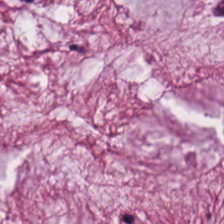Tissue class: mucus.
